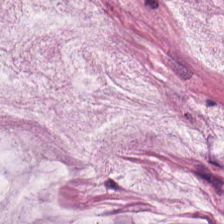Tissue — mucin.
